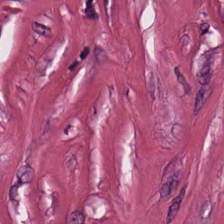224×224 pixel tile. Hematoxylin-and-eosin stained section. WSI patch. Finding → tumor-associated stroma.
